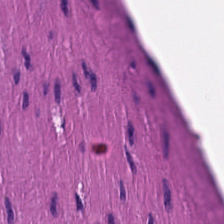Tissue class = smooth-muscle tissue.
